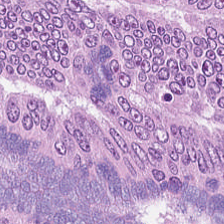Hematoxylin-and-eosin stained section.
Tissue class = malignant epithelium.
